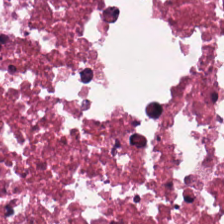Hematoxylin and eosin. The tissue type is necrotic debris.
